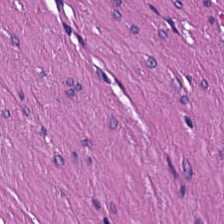H&E-stained tissue section · 224×224 px tile · WSI patch.
Predominantly smooth muscle.
